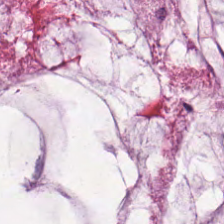H&E-stained section; the field shows mucin.
